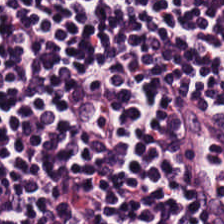H&E stain.
Q: What is the predominant tissue type?
A: This is lymphocytic infiltrate.
